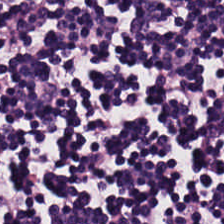H&E stain. Tissue: lymphocytic infiltrate.
